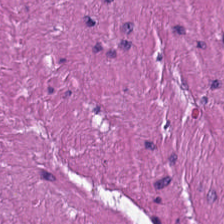Stain: H&E-stained tissue section.
Resolution: 0.5 µm per pixel.
Classification: smooth muscle.
